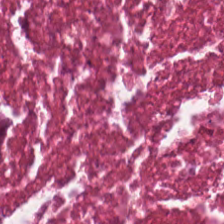Tissue type = debris.
